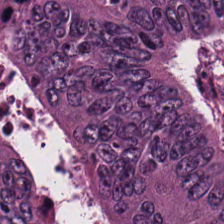H&E-stained tissue section.
Adenocarcinoma.
